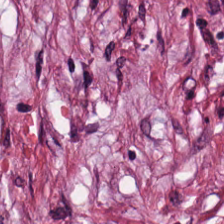Stain: hematoxylin and eosin.
Tissue class: cancer-associated stroma.
